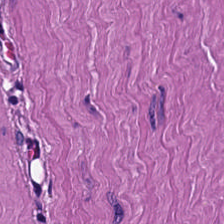Formalin-fixed paraffin-embedded section. H&E.
Impression → smooth muscle.
